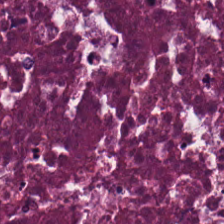The predominant tissue is necrotic debris.
